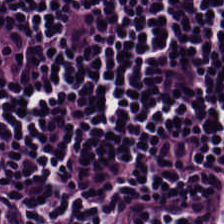Predominantly lymphoid infiltrate.
